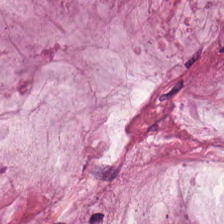H&E stain · 0.5 µm/px — Tissue type — mucus.
